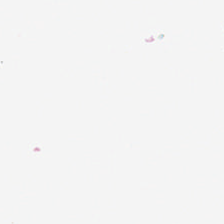H&E-stained tissue section · FFPE. Finding — background.
